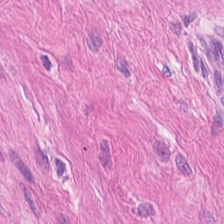Predominant tissue — muscularis.
